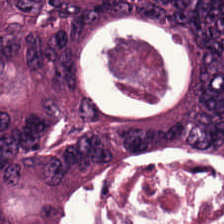224×224 px patch. Hematoxylin-and-eosin stained section — Showing malignant epithelium.
